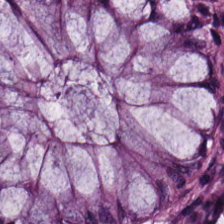Stain: H&E stain.
Classification: benign colonic mucosa.
